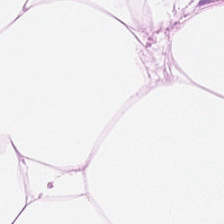H&E-stained tissue section — The predominant tissue is adipose tissue.
